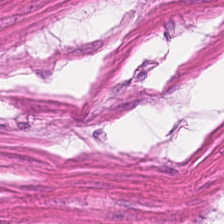H&E stain. Predominant tissue — smooth-muscle tissue.
